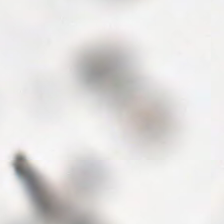Stain: H&E stain.
Field content: empty background.
